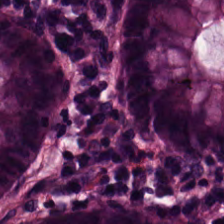Brightfield microscopy. H&E stain.
The predominant tissue is non-neoplastic colon mucosa.
